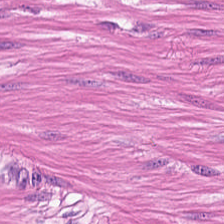H&E-stained tissue section · FFPE tissue section · 224×224 px patch. Q: Identify the tissue.
A: Smooth muscle.
